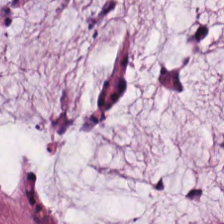Predominantly extracellular mucin.
